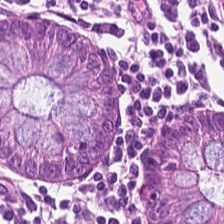Tissue type = benign colonic mucosa.
